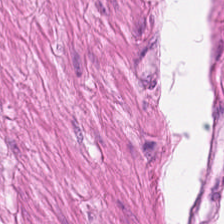H&E patch showing smooth-muscle tissue.
